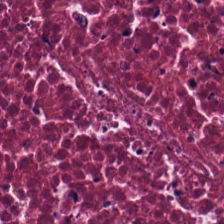Classification — cellular debris.
